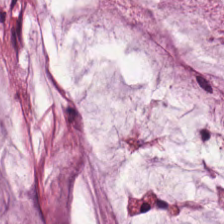H&E. Q: What tissue type is shown here?
A: It is extracellular mucin.
